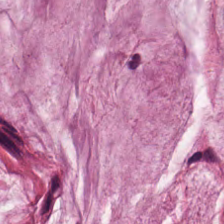Q: What is the predominant tissue type?
A: It is mucus.
